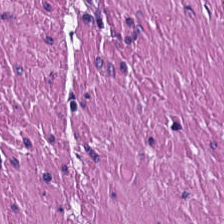FFPE; H&E stain.
Tissue class = smooth muscle.
